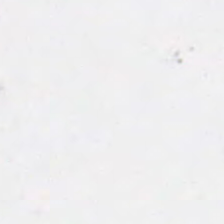Histology — no tissue.
